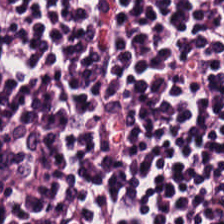Hematoxylin-and-eosin stained section — Tissue class: lymphocytes.
